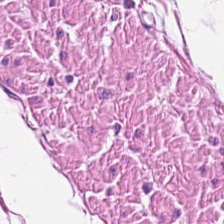H&E — This patch shows muscularis.
